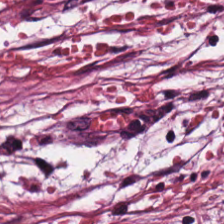H&E stain.
Tissue = tumor-associated stroma.
